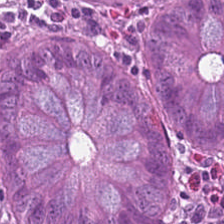H&E — The tissue class is benign colonic mucosa.
